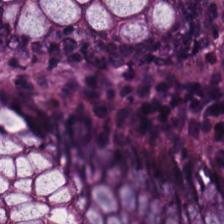H&E-stained tissue section.
Tissue class: non-neoplastic colon mucosa.
